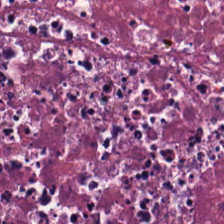Hematoxylin and eosin.
The tissue class is necrotic debris.
